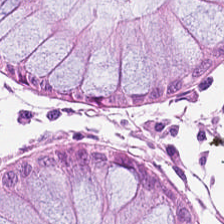Tissue class — normal colonic mucosa.
